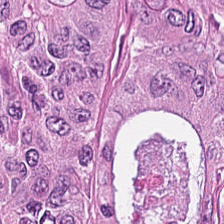Hematoxylin and eosin.
Classification = colorectal adenocarcinoma epithelium.
